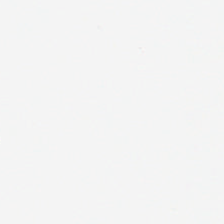H&E.
{"content": "empty background"}
